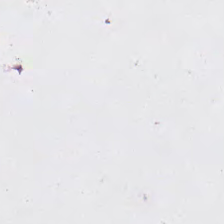FFPE; hematoxylin-and-eosin stained section — This field is background (no tissue).
